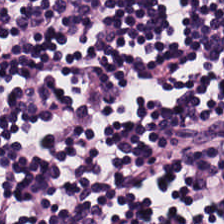Hematoxylin and eosin. Lymphoid infiltrate.
